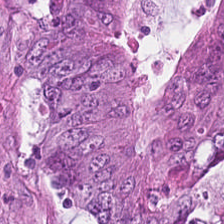Hematoxylin and eosin — Q: What is shown here?
A: This is tumor epithelium.
